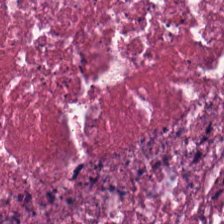H&E-stained tissue section. Histology → cellular debris.
